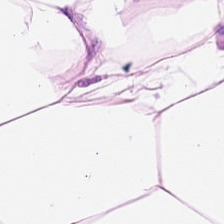224×224 pixel tile. H&E — Predominant tissue = adipocytes.
